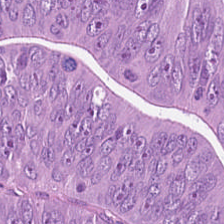{"tissue_type": "adenocarcinoma"}
